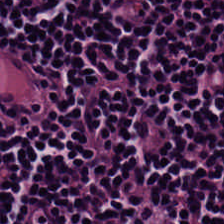Stain: H&E stain.
Tissue: lymphocytic infiltrate.
